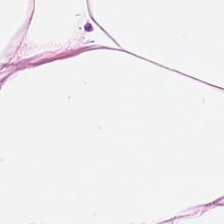Hematoxylin-and-eosin stained section; formalin-fixed paraffin-embedded section. Finding → adipose.
